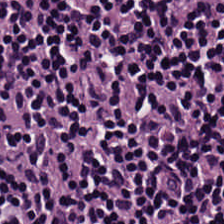Formalin-fixed paraffin-embedded section. H&E — Histology — lymphocytes.
